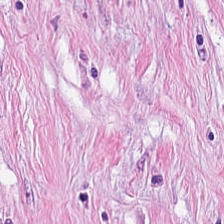Stain: hematoxylin and eosin.
Predominant tissue: tumor-associated stroma.
